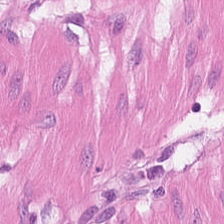Stain: H&E stain.
Predominant tissue: smooth muscle.
